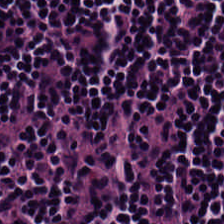Hematoxylin-and-eosin stained section.
Showing lymphocytic infiltrate.
